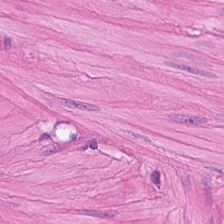H&E stain.
Q: What tissue is shown?
A: It is smooth-muscle tissue.
